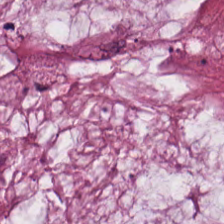H&E stain.
Tissue class — extracellular mucin.
